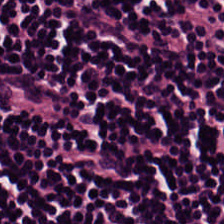Tissue: lymphocyte aggregate.
